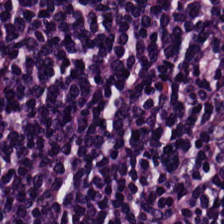FFPE · H&E stain.
Tissue type: lymphocytes.
